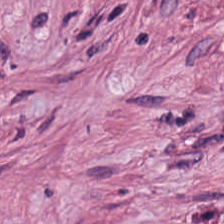0.5 microns per pixel; H&E stain.
This patch shows desmoplastic stroma.
